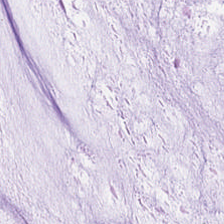Hematoxylin and eosin.
The predominant tissue is mucus.
